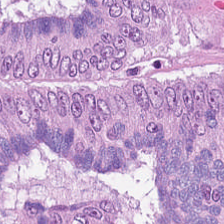Stain: H&E stain.
Tissue type: colorectal adenocarcinoma epithelium.
